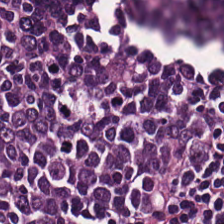H&E-stained tissue section. 224×224 px tile.
Histology → lymphoid infiltrate.
